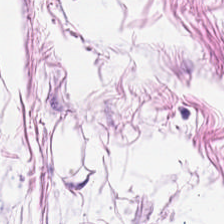H&E.
Showing adipose tissue.
